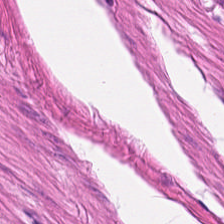H&E-stained tissue section.
Predominantly smooth muscle.
